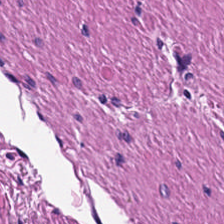Stain: H&E.
Acquisition: brightfield microscopy.
Predominant tissue: muscularis.
